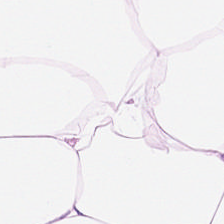Stain: H&E stain.
Tile size: 224×224 pixel tile.
Tissue type: adipose tissue.
